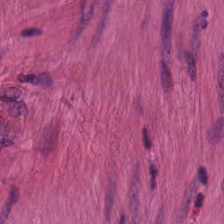0.5 µm per pixel · hematoxylin-and-eosin stained section · FFPE tissue section — Showing smooth-muscle tissue.
